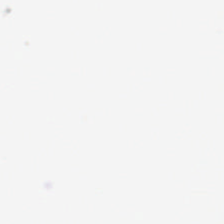Hematoxylin-and-eosin stained section.
This patch shows background.
